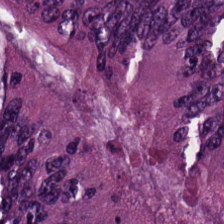0.5 µm per pixel · hematoxylin and eosin.
Predominantly malignant epithelium.
